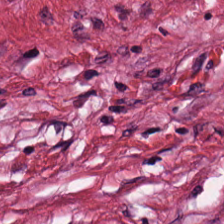Formalin-fixed paraffin-embedded section · hematoxylin and eosin. The classification is tumor stroma.
